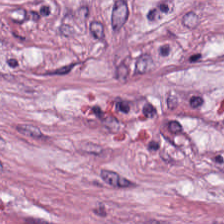H&E stain. This patch shows tumor-associated stroma.
